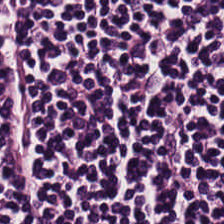Stain: H&E-stained tissue section.
Tile size: 224×224 px tile.
Tissue: lymphocyte aggregate.
